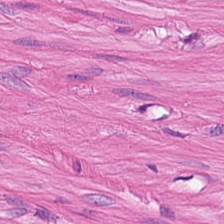Brightfield. H&E. The predominant tissue is smooth muscle.
